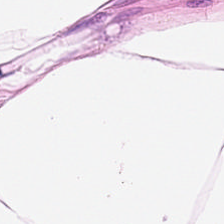H&E stain. Showing adipose tissue.
